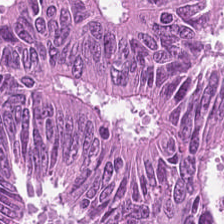Q: Identify the tissue.
A: The field shows tumor epithelium.
